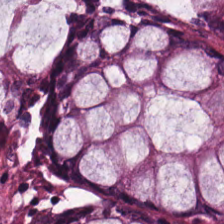Hematoxylin-and-eosin stained section. FFPE tissue section. Brightfield — Predominant tissue — benign colonic mucosa.
